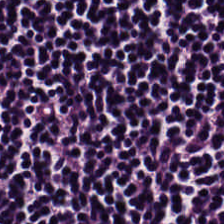H&E-stained tissue section. FFPE. Classification: lymphoid infiltrate.
